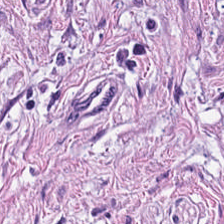0.5 µm per pixel · FFPE · H&E — Q: What is shown in this field?
A: It is muscularis.
